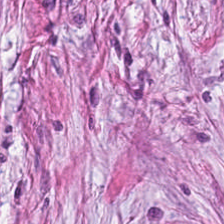Hematoxylin and eosin. Tissue — tumor-associated stroma.
